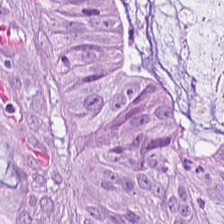H&E-stained tissue section · 224×224 px patch — {"tissue_type": "colorectal adenocarcinoma"}
